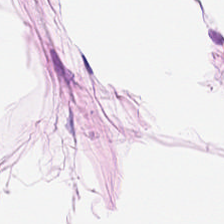Hematoxylin-and-eosin section: adipose.
